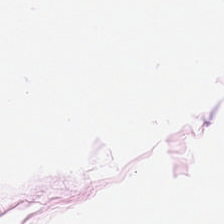Formalin-fixed paraffin-embedded section; hematoxylin and eosin; brightfield microscopy.
Q: What tissue is shown?
A: The field shows fat tissue.
